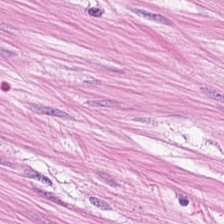H&E.
Tissue type = muscularis.
